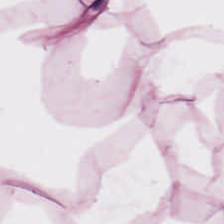Hematoxylin-and-eosin stained section; formalin-fixed paraffin-embedded section — Tissue — fat tissue.
